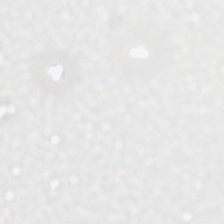0.5 µm/px · H&E stain · brightfield microscopy — Empty field — background.
